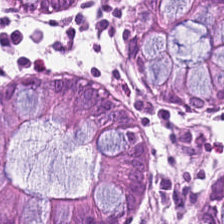Tissue type: non-neoplastic colon mucosa.
